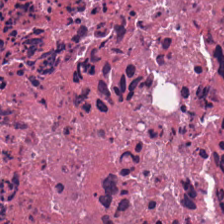Stain: hematoxylin-and-eosin stained section.
Preparation: formalin-fixed paraffin-embedded section.
Resolution: 20× equivalent magnification.
Predominant tissue: cellular debris.
